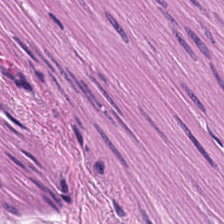Hematoxylin and eosin. This patch shows smooth-muscle tissue.
